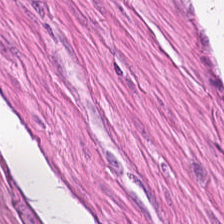Hematoxylin and eosin — Tissue type — muscularis.
